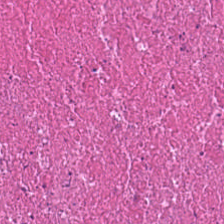Hematoxylin-and-eosin stained section. Q: What type of tissue is this?
A: It is necrotic debris.
